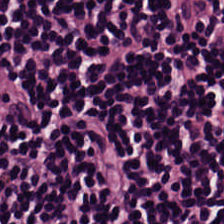224×224 pixel tile. Whole-slide-image patch. Hematoxylin and eosin — Tissue class = lymphoid infiltrate.
